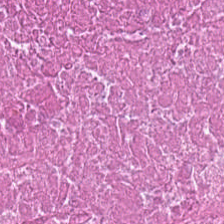The predominant tissue is cellular debris.
